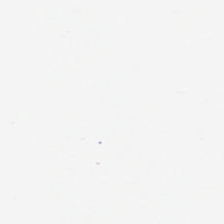Hematoxylin-and-eosin stained section. Empty background.
